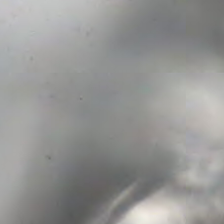H&E-stained tissue section. Histology — empty background.
